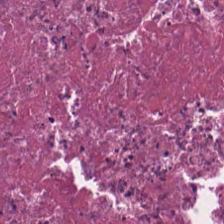Stain: hematoxylin and eosin.
Tissue class: debris.
